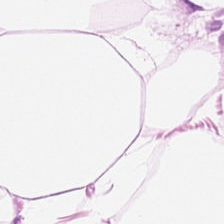H&E patch showing adipocytes.
